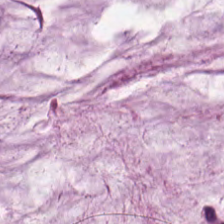224×224 px tile. H&E. Whole-slide-image patch.
Finding → extracellular mucin.
